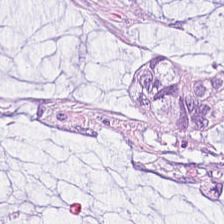Q: What tissue is shown?
A: The field shows extracellular mucin.
